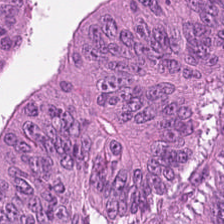Q: What is shown in this field?
A: It is tumor epithelium.
